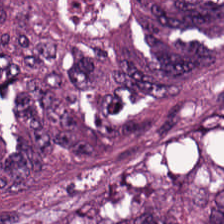Hematoxylin-and-eosin stained section — Showing tumor epithelium.
